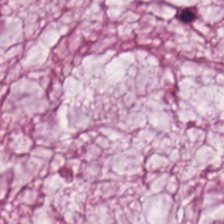Stain: hematoxylin-and-eosin stained section.
Preparation: formalin-fixed paraffin-embedded section.
Tissue type: mucus.
